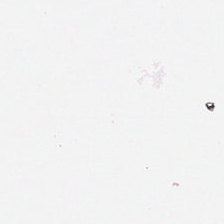224×224 px patch · hematoxylin and eosin — Finding → no tissue.
